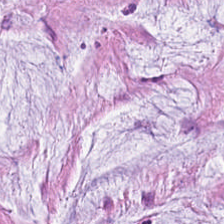H&E-stained section; the field shows extracellular mucin.
